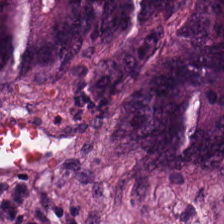Stain: hematoxylin and eosin.
Predominant tissue: colorectal adenocarcinoma.
